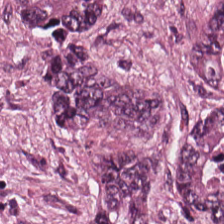0.5 µm per pixel · H&E-stained tissue section · FFPE tissue section — Q: What tissue type is shown here?
A: The field shows colorectal adenocarcinoma.
